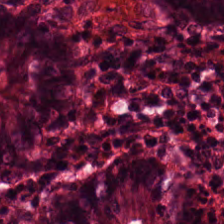H&E-stained section; the field shows benign colonic mucosa.
